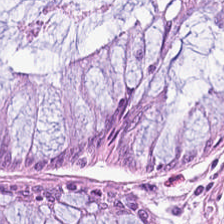Hematoxylin-and-eosin stained section — Predominant tissue: non-neoplastic colon mucosa.
